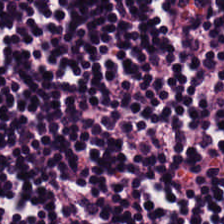FFPE; 0.5 microns per pixel; H&E-stained tissue section. This field is lymphocytic infiltrate.
